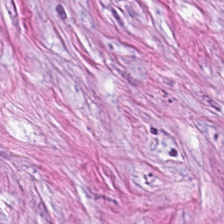FFPE tissue section. Hematoxylin-and-eosin stained section — Tumor-associated stroma.
